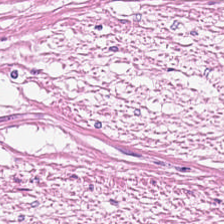Hematoxylin and eosin; 0.5 µm/px. Tissue class: smooth muscle.
